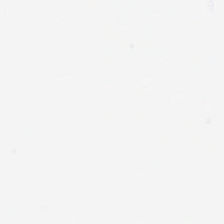H&E-stained tissue section. Whole-slide-image patch. 224×224 pixel tile.
The field content is background (no tissue).
